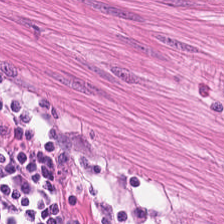Hematoxylin-and-eosin stained section — Showing smooth-muscle tissue.
